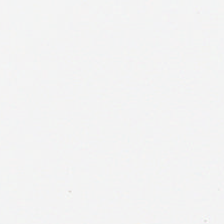H&E stain — Background — no tissue in this field.
